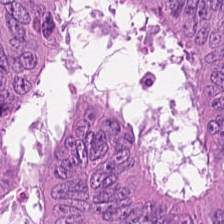Q: Identify the tissue.
A: Colorectal adenocarcinoma epithelium.
